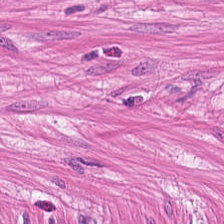Classification: smooth-muscle tissue.
